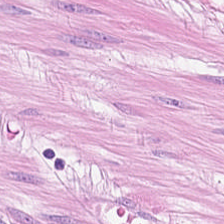224×224 px patch. Brightfield microscopy. Hematoxylin-and-eosin stained section — Tissue class = smooth muscle.
